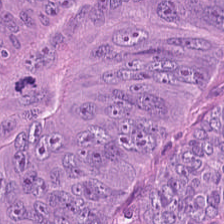H&E-stained tissue section.
Tissue class — adenocarcinoma.
